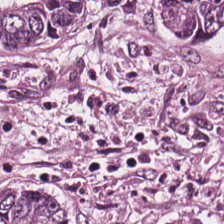Stain: hematoxylin-and-eosin stained section.
Tile size: 224×224 pixel tile.
Acquisition: brightfield.
Predominant tissue: adenocarcinoma.
